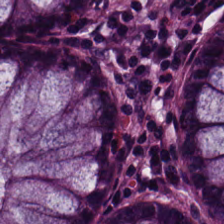Stain: H&E.
Tissue type: non-neoplastic colon mucosa.
